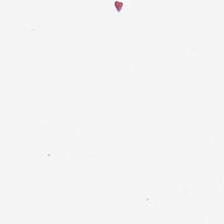Hematoxylin and eosin. 0.5 µm/px. Background — no tissue in this field.
